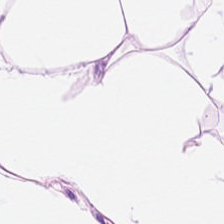Impression — fat tissue.
